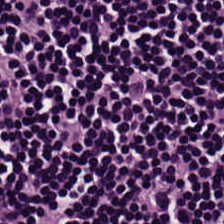Hematoxylin-and-eosin stained section.
Q: Identify the tissue.
A: This is lymphocytes.
